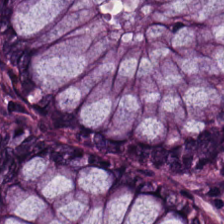Q: What tissue is shown?
A: Normal colonic mucosa.
